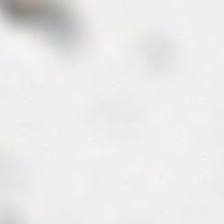Hematoxylin and eosin — This patch shows background (no tissue).
